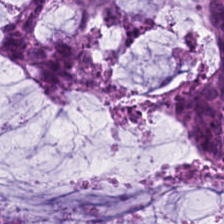H&E patch showing mucin.
